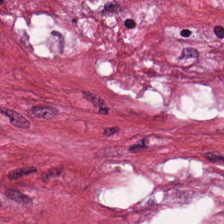Brightfield; 0.5 µm per pixel; H&E stain. Impression — tumor stroma.
